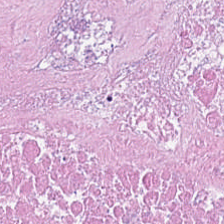H&E stain.
The predominant tissue is necrotic debris.
